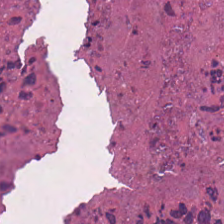0.5 microns per pixel · formalin-fixed paraffin-embedded section · H&E — {"tissue_type": "necrotic debris"}
